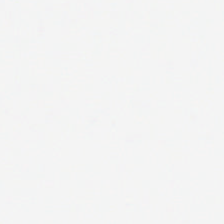Field content — empty background.
